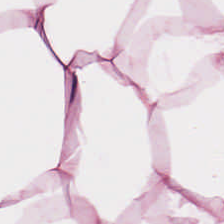H&E. Classification — adipose.
